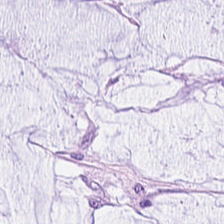Hematoxylin and eosin; 224×224 px patch; 20× equivalent magnification — {"tissue_type": "mucus"}
